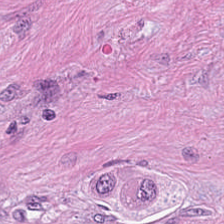Brightfield; 0.5 µm per pixel; H&E.
Tissue: tumor-associated stroma.
